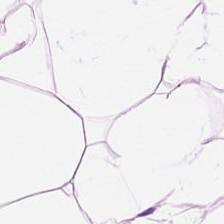Tissue type — adipose.
